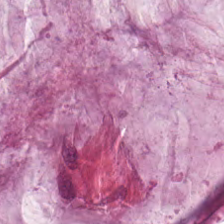Hematoxylin and eosin. WSI patch — Q: What tissue is shown?
A: It is mucus.
